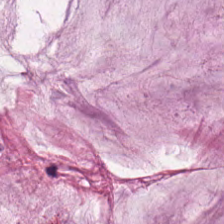Hematoxylin and eosin. The tissue is mucin.
